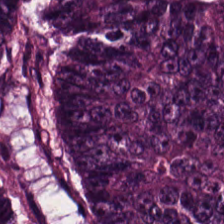Hematoxylin-and-eosin stained section. FFPE.
The tissue here is tumor epithelium.
